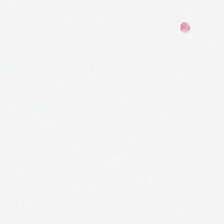{"content": "background"}
